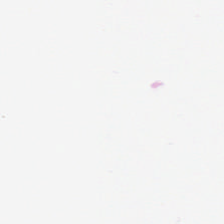H&E — Content — empty background.
